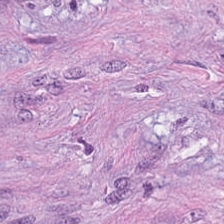H&E. Predominant tissue: desmoplastic stroma.
